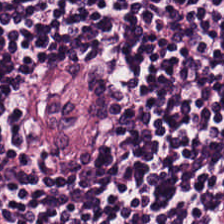Hematoxylin-and-eosin stained section — The tissue class is lymphocyte aggregate.
